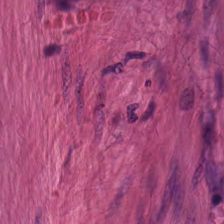H&E stain; 224×224 px tile; WSI patch — {"tissue_type": "smooth muscle"}
